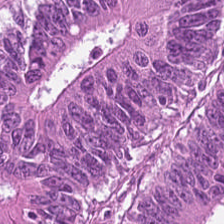Tissue class — malignant epithelium.
